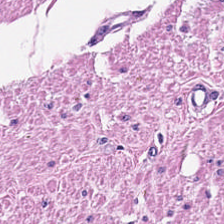0.5 µm per pixel; hematoxylin and eosin — Impression — muscularis.
